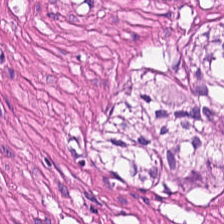H&E-stained tissue section.
The tissue is smooth muscle.
